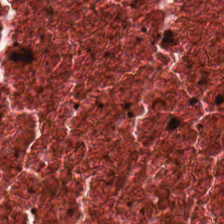H&E.
The predominant tissue is cellular debris.
